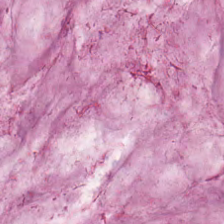Hematoxylin and eosin. This field is mucus.
